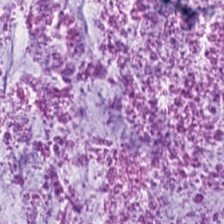Hematoxylin-and-eosin stained section — This patch shows extracellular mucin.
